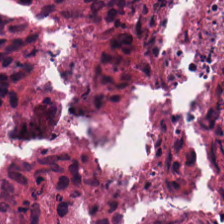Stain: H&E stain.
Tissue type: necrotic debris.
